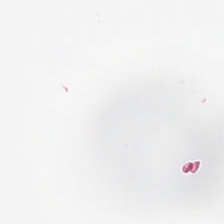Q: Classify this patch.
A: The field shows empty background.
